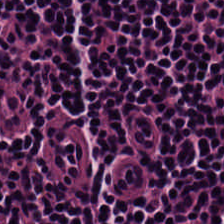Hematoxylin and eosin.
Q: Identify the tissue.
A: The field shows lymphocytes.
